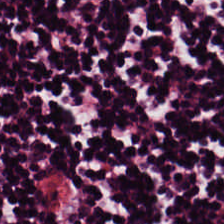H&E — Histology → lymphocyte aggregate.
